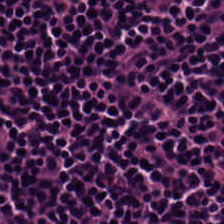Hematoxylin-and-eosin stained section. Tissue: lymphocyte aggregate.
